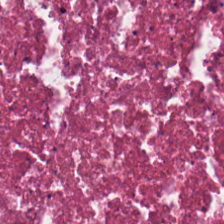H&E-stained tissue section. FFPE — Q: What is shown here?
A: This is necrotic debris.
